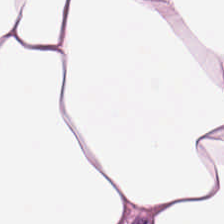Classification = adipose tissue.
